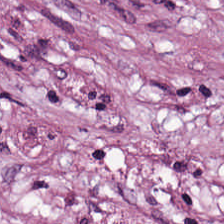Stain: hematoxylin and eosin.
Resolution: 0.5 µm per pixel.
Classification: tumor stroma.
